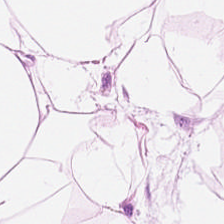Showing fat tissue.
